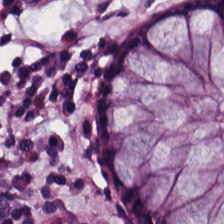Hematoxylin and eosin — This patch shows benign colonic mucosa.
